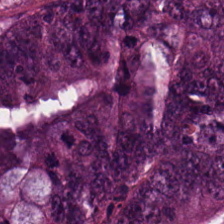Finding — colorectal adenocarcinoma epithelium.
